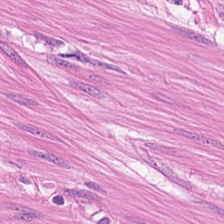20× equivalent magnification · H&E-stained tissue section — This field is smooth-muscle tissue.
